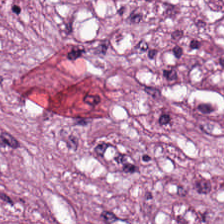H&E — tumor stroma.
